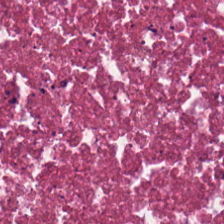Stain: H&E-stained tissue section.
Acquisition: whole-slide-image patch.
Resolution: 20× equivalent magnification.
Tissue type: cellular debris.
